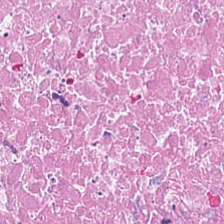H&E stain — The tissue here is necrotic debris.
